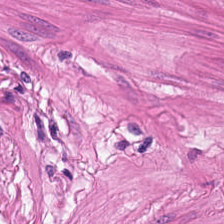H&E-stained tissue section; 224×224 pixel tile.
This patch shows smooth-muscle tissue.
